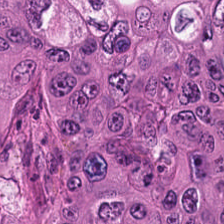Stain: H&E.
Predominant tissue: malignant epithelium.
